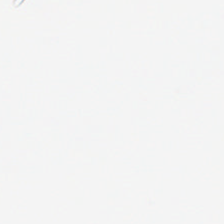This patch shows no tissue.
